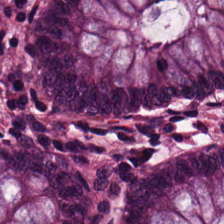Hematoxylin and eosin.
Finding — normal colonic mucosa.
